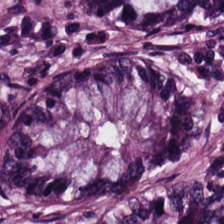The tissue here is normal colonic mucosa.
